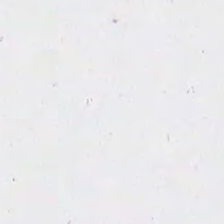FFPE. Hematoxylin-and-eosin stained section.
Empty field — background (no tissue).
